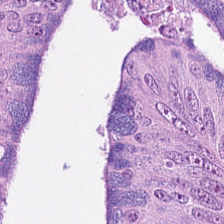224×224 px tile. WSI patch. H&E.
Q: What does this patch show?
A: Tumor epithelium.
